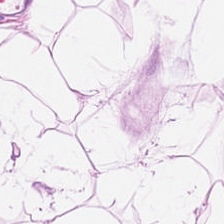Q: What is shown in this field?
A: This is fat tissue.
